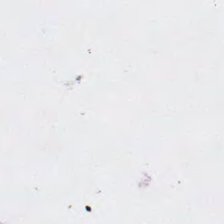Hematoxylin-and-eosin stained section; formalin-fixed paraffin-embedded section; 0.5 µm per pixel.
Q: What is shown in this field?
A: It is empty background.
